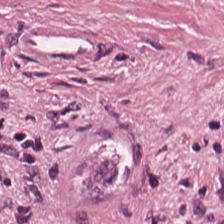Impression → desmoplastic stroma.
